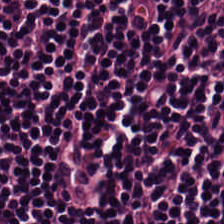H&E-stained tissue section — Impression — lymphoid infiltrate.
